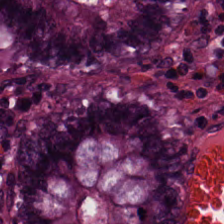Stain: hematoxylin and eosin.
Tissue: benign colonic mucosa.
